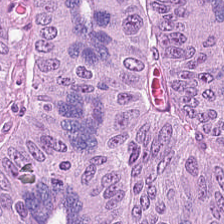Hematoxylin-and-eosin stained section. Showing adenocarcinoma.
